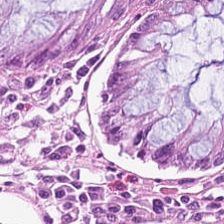Brightfield. Hematoxylin-and-eosin stained section.
Classification = non-neoplastic colon mucosa.
